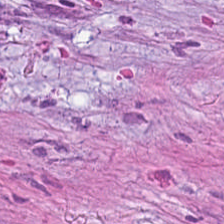H&E; FFPE.
The classification is tumor stroma.
